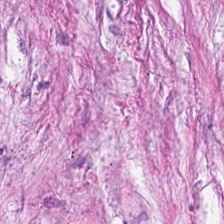H&E — Q: Classify this patch.
A: It is tumor stroma.
